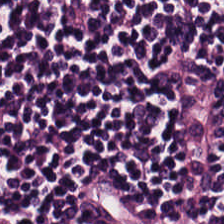Stain: H&E-stained tissue section.
Tissue class: lymphocyte aggregate.
